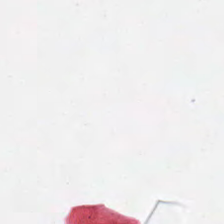H&E stain. Q: What is shown in this field?
A: The field shows background.
